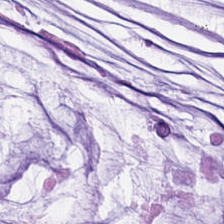H&E-stained tissue section. Tissue class = extracellular mucin.
